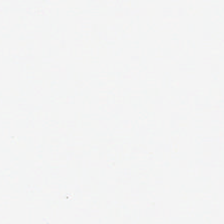Finding — empty background.
